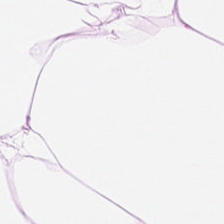H&E-stained tissue section.
This patch shows fat tissue.
